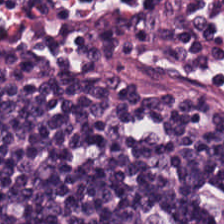This patch shows lymphocyte aggregate.
